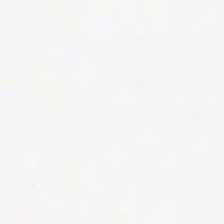Stain: hematoxylin-and-eosin stained section.
Resolution: 20× equivalent magnification.
Classification: empty background.
